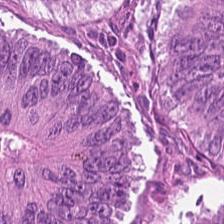H&E-stained tissue section; 0.5 microns per pixel — Q: What tissue is shown?
A: Colorectal adenocarcinoma.
